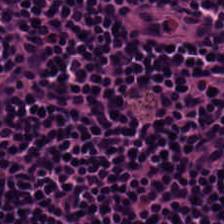H&E stain — This patch shows lymphocytes.
